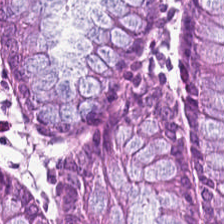Hematoxylin and eosin; brightfield.
Q: What type of tissue is this?
A: This is non-neoplastic colon mucosa.
